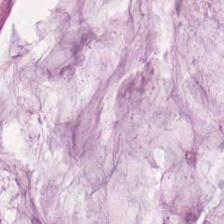Hematoxylin and eosin.
The predominant tissue is mucin.
